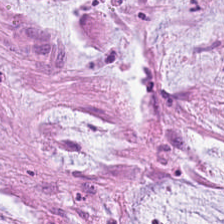Hematoxylin and eosin. Q: What does this patch show?
A: This is extracellular mucin.
